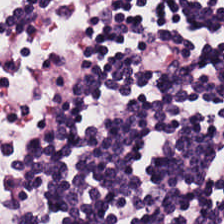224×224 pixel tile. Brightfield. H&E stain.
This patch shows lymphocyte aggregate.
